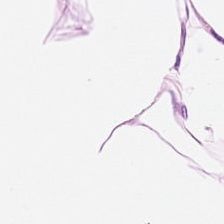H&E stain — Tissue type — adipose.
